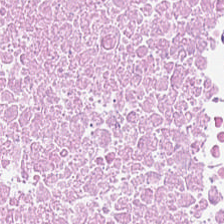Stain: H&E stain.
Predominant tissue: debris.
